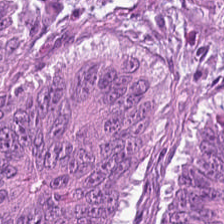H&E-stained tissue section. {"tissue_type": "tumor epithelium"}
